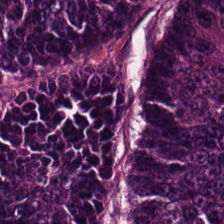Hematoxylin-and-eosin stained section. 0.5 µm per pixel — This field is malignant epithelium.
